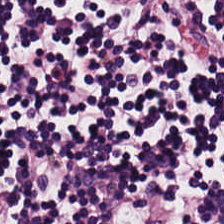H&E; FFPE. This patch shows lymphocytic infiltrate.
